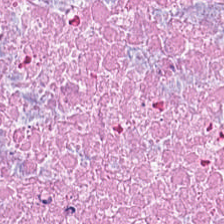Hematoxylin-and-eosin stained section. Tissue = cellular debris.
